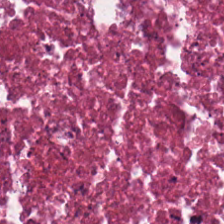Stain: hematoxylin and eosin.
Classification: necrotic debris.
